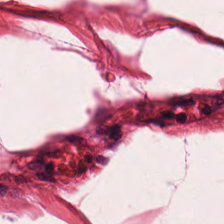Hematoxylin-and-eosin stained section — Predominantly smooth muscle.
